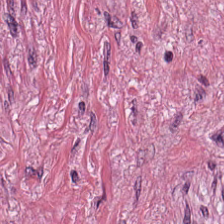This patch shows desmoplastic stroma.
